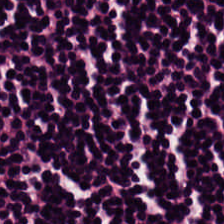H&E-stained tissue section. Lymphocytic infiltrate.
